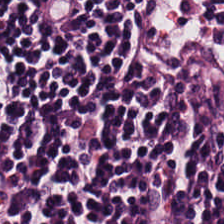H&E.
Tissue type: lymphocytic infiltrate.
